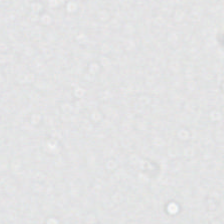H&E stain.
This patch shows no tissue.
